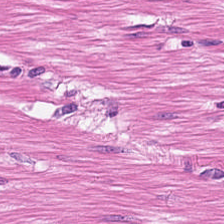H&E-stained section; the field shows smooth-muscle tissue.
